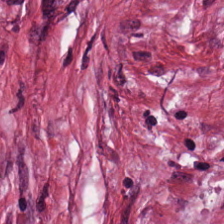Hematoxylin-and-eosin stained section; whole-slide-image patch.
Q: What type of tissue is this?
A: Desmoplastic stroma.
